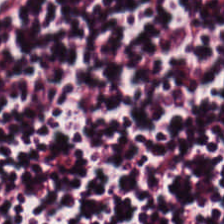Hematoxylin and eosin — Q: Identify the tissue.
A: This is lymphoid infiltrate.
